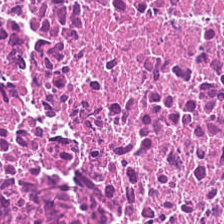Stain: hematoxylin-and-eosin stained section.
Tissue: debris.
